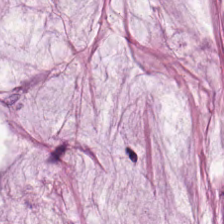Q: What is shown in this field?
A: The field shows mucus.
